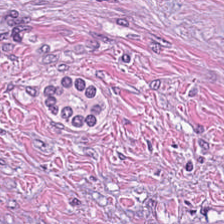H&E.
Q: Identify the tissue.
A: Tumor stroma.
